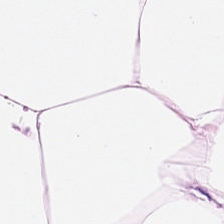0.5 µm per pixel; hematoxylin-and-eosin stained section.
Q: What type of tissue is this?
A: This is adipose tissue.
